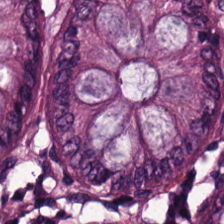Histology — normal colon mucosa.
